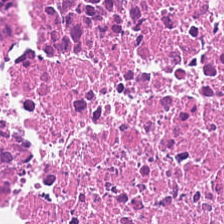20× equivalent magnification; whole-slide-image patch; hematoxylin-and-eosin stained section.
This field is necrotic debris.
